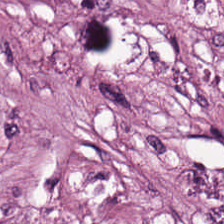Hematoxylin-and-eosin stained section · 224×224 px tile — The predominant tissue is cancer-associated stroma.
